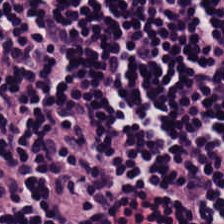This patch shows lymphocytic infiltrate.
